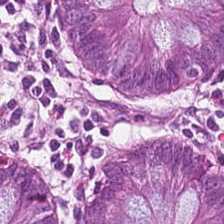Stain: H&E stain.
Preparation: formalin-fixed paraffin-embedded section.
Acquisition: whole-slide-image patch.
Classification: non-neoplastic colon mucosa.
